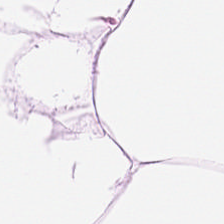Stain: H&E stain.
Tissue type: adipose.
